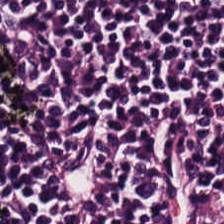Hematoxylin-and-eosin section: lymphocytes.
